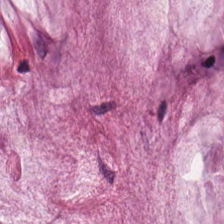Q: What is shown in this field?
A: This is mucus.
